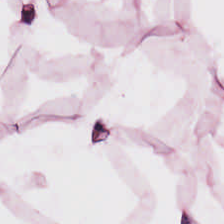Classification = fat tissue.
